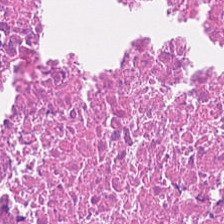H&E-stained tissue section. 224×224 px patch. FFPE. Histology → necrotic debris.
